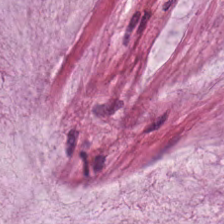Q: What is the predominant tissue type?
A: The field shows extracellular mucin.
